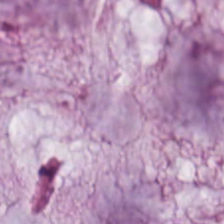Showing mucin.
